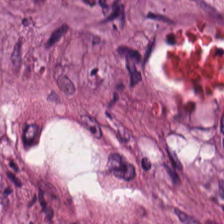Tissue — cellular debris.
